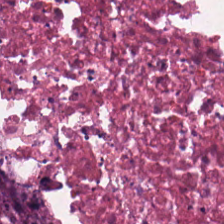H&E stain · FFPE. The predominant tissue is necrotic debris.
